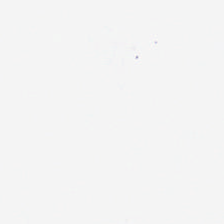This field is background (no tissue).
